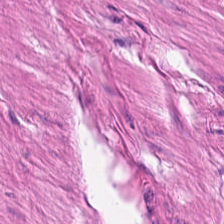H&E. Formalin-fixed paraffin-embedded section. Predominantly smooth-muscle tissue.
